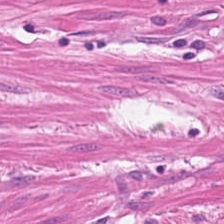Tissue type: smooth muscle.
